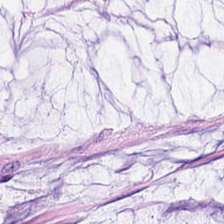Showing mucus.
